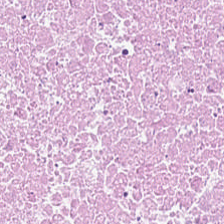20× equivalent magnification; brightfield; hematoxylin and eosin.
Histology — cellular debris.
